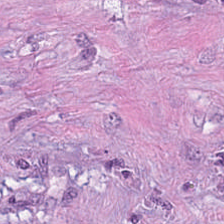Q: What is shown here?
A: It is tumor-associated stroma.
